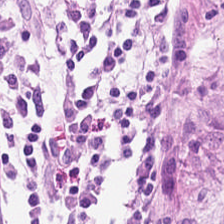224×224 px tile. Brightfield microscopy. H&E stain.
Showing benign colonic mucosa.
